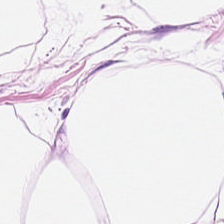Hematoxylin and eosin — Adipocytes.
